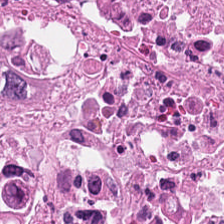Hematoxylin and eosin.
The predominant tissue is cellular debris.
